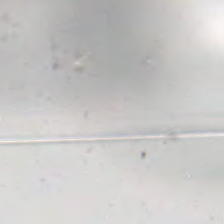Content = background.
